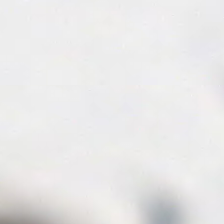Hematoxylin and eosin. 0.5 microns per pixel — Content = empty background.
